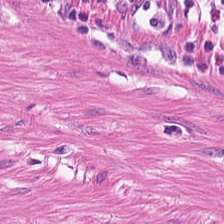0.5 µm/px. H&E-stained tissue section. 224×224 px patch.
The predominant tissue is smooth muscle.
